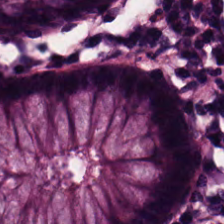Hematoxylin and eosin — Showing non-neoplastic colon mucosa.
